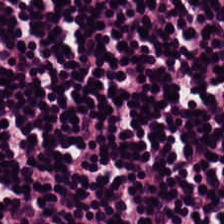H&E stain. Histology → lymphoid infiltrate.
